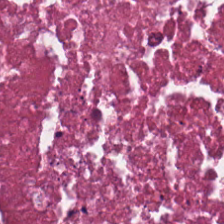H&E stain. Q: What tissue type is shown here?
A: It is cellular debris.
